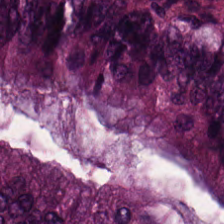Finding → colorectal adenocarcinoma epithelium.
